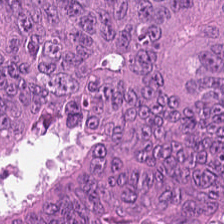Hematoxylin-and-eosin stained section — Finding → malignant epithelium.
